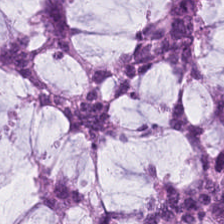Hematoxylin and eosin. 20× equivalent magnification — Predominantly mucus.
